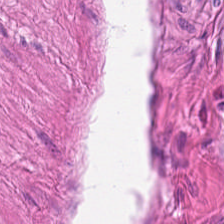Formalin-fixed paraffin-embedded section · 224×224 px tile · H&E.
Smooth muscle.
